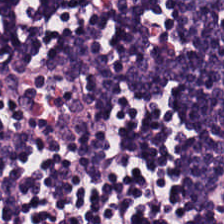Q: What tissue type is shown here?
A: This is lymphoid infiltrate.
